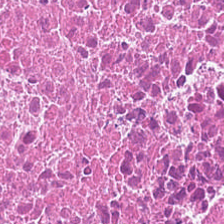Impression — debris.
